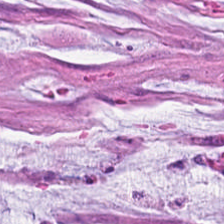Hematoxylin-and-eosin stained section · FFPE tissue section · 0.5 microns per pixel.
{"tissue_type": "mucus"}
